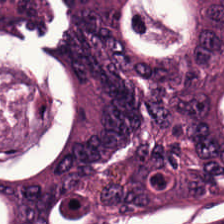224×224 px tile; hematoxylin-and-eosin stained section — Q: What tissue is shown?
A: It is tumor epithelium.
